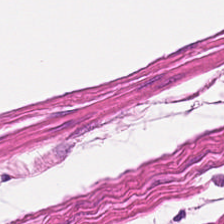H&E stain — Smooth-muscle tissue.
